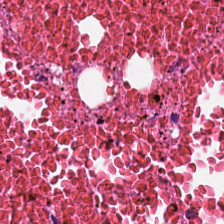224×224 pixel tile; H&E stain.
The tissue here is debris.
